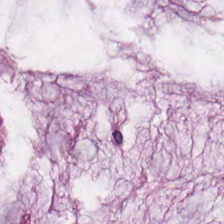H&E — extracellular mucin.
